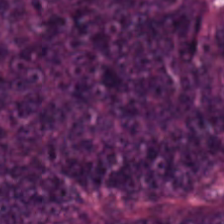Stain: hematoxylin-and-eosin stained section.
Tissue type: colorectal adenocarcinoma.
